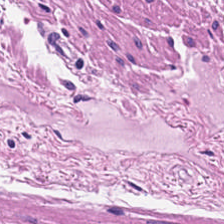WSI patch · hematoxylin and eosin · 224×224 px tile. This field is muscularis.
